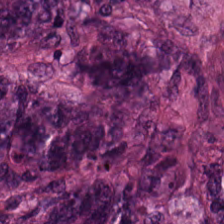H&E stain. FFPE — Malignant epithelium.
